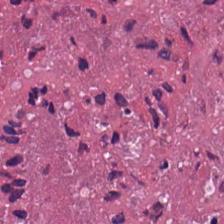H&E.
Tissue — cellular debris.
